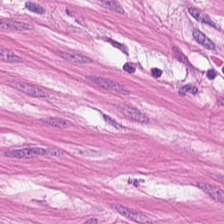224×224 px tile. FFPE tissue section. H&E — Q: What is shown in this field?
A: The field shows smooth muscle.
